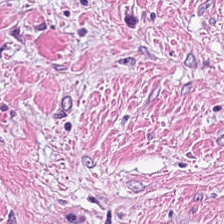H&E.
{"tissue_type": "tumor-associated stroma"}
